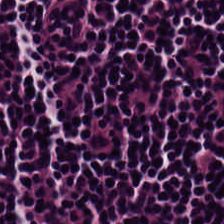The classification is lymphocytic infiltrate.
